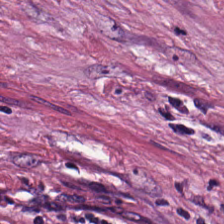Showing cancer-associated stroma.
